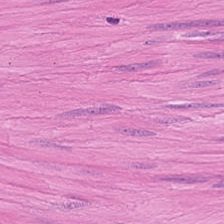H&E — The tissue here is muscularis.
